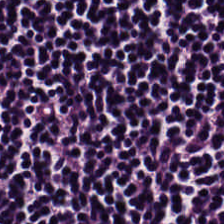Q: What tissue type is shown here?
A: This is lymphocyte aggregate.
